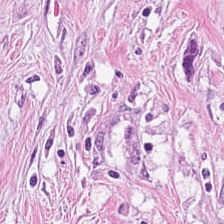Hematoxylin-and-eosin stained section — This patch shows cancer-associated stroma.
